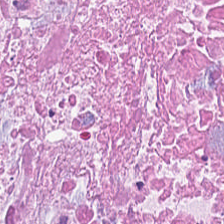Classification = necrotic debris.
